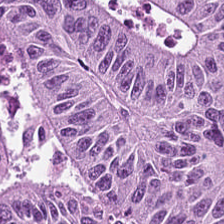Hematoxylin and eosin.
Tissue — colorectal adenocarcinoma.
